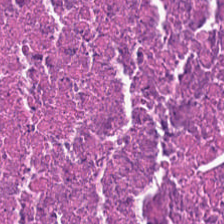Q: Classify this patch.
A: The field shows necrotic debris.
